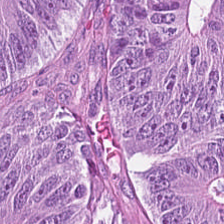Hematoxylin and eosin. Q: What is the predominant tissue type?
A: Tumor epithelium.
